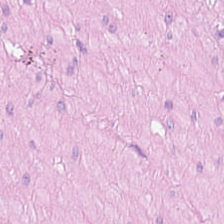0.5 µm/px · FFPE tissue section · H&E stain — The predominant tissue is muscularis.
